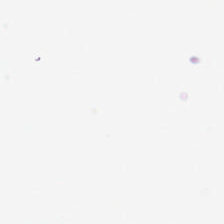Hematoxylin and eosin.
{"content": "background"}
